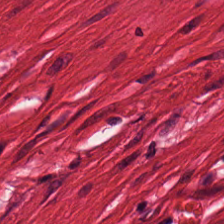Stain: H&E-stained tissue section.
Tissue class: muscularis.
